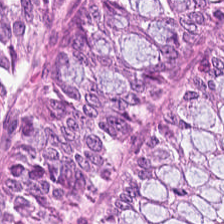Hematoxylin and eosin · FFPE.
This patch shows normal colon mucosa.
